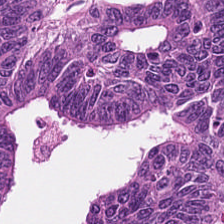Q: What is the predominant tissue type?
A: Colorectal adenocarcinoma epithelium.
